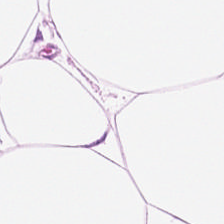Stain: H&E.
Tissue class: adipose.
